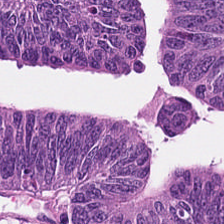H&E.
The tissue is malignant epithelium.
